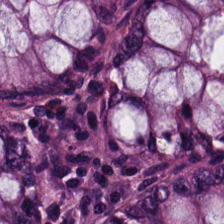H&E-stained tissue section · FFPE tissue section. This field is normal colonic mucosa.
